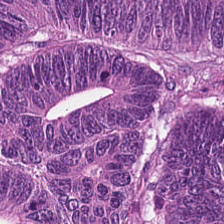H&E — Tissue = malignant epithelium.
